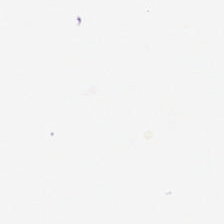{"content": "background (no tissue)"}
